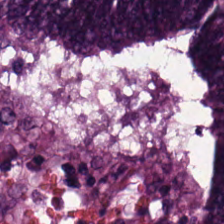Q: What does this patch show?
A: Colorectal adenocarcinoma epithelium.
